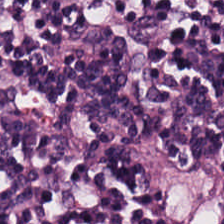H&E stain. 0.5 µm/px. FFPE — Classification: lymphocyte aggregate.
